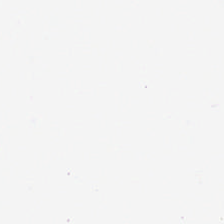H&E stain — Empty field — background.
